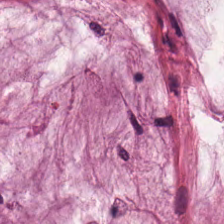This field is mucin.
